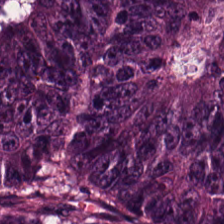This patch shows malignant epithelium.
